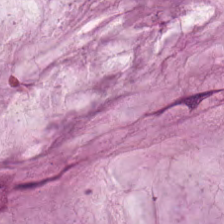{"tissue_type": "mucus"}
